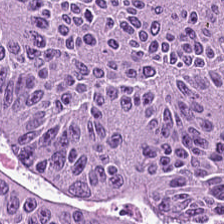Hematoxylin-and-eosin stained section · 0.5 µm/px. The predominant tissue is colorectal adenocarcinoma epithelium.
